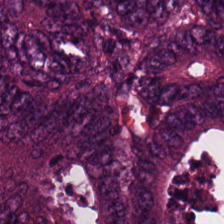H&E stain.
Impression → adenocarcinoma.
